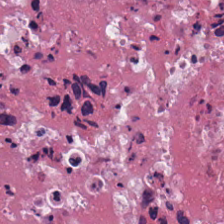H&E. Classification — necrotic debris.
